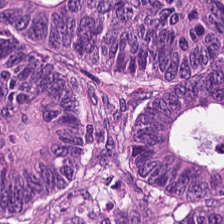This patch shows colorectal adenocarcinoma epithelium.
